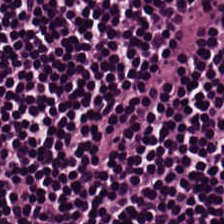Brightfield; hematoxylin and eosin. This field is lymphocytic infiltrate.
